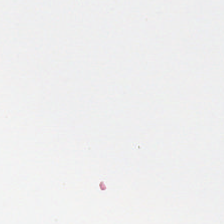Stain: H&E-stained tissue section.
Resolution: 0.5 microns per pixel.
Content: background (no tissue).
